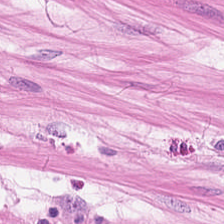Stain: H&E.
Acquisition: WSI patch.
Tissue type: muscularis.
